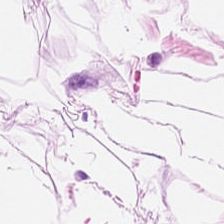H&E.
Showing adipose tissue.
